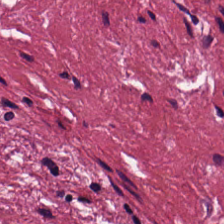Classification = desmoplastic stroma.
